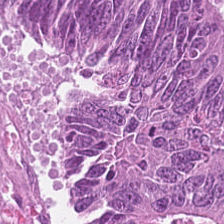H&E-stained tissue section.
The tissue class is adenocarcinoma.
